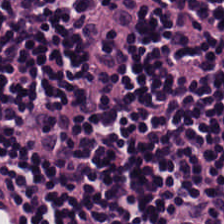Q: What does this patch show?
A: This is lymphocytic infiltrate.
